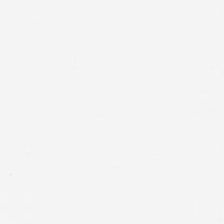0.5 microns per pixel. Hematoxylin and eosin. This field is background (no tissue).
